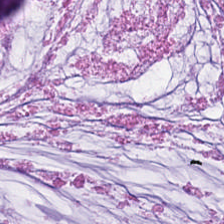Mucin.
